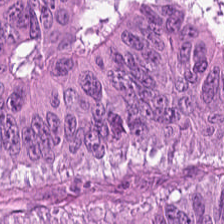Hematoxylin and eosin. Q: What does this patch show?
A: The field shows colorectal adenocarcinoma.
